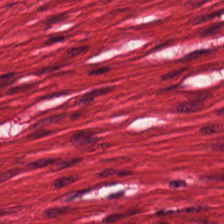20× equivalent magnification. Hematoxylin-and-eosin stained section.
{"tissue_type": "smooth muscle"}
